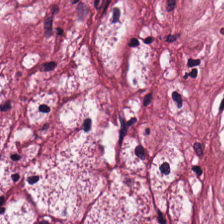Stain: H&E.
Tissue type: tumor-associated stroma.
